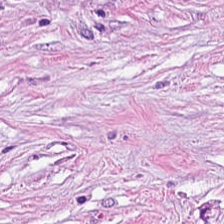Hematoxylin-and-eosin stained section. This field is cancer-associated stroma.
